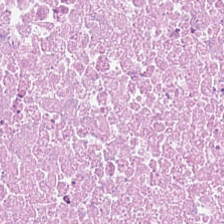The tissue class is necrotic debris.
